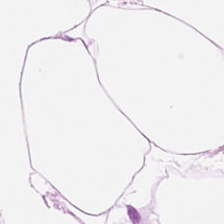Stain: hematoxylin and eosin.
Classification: fat tissue.
